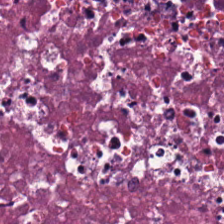Formalin-fixed paraffin-embedded section · H&E — Predominantly necrotic debris.
